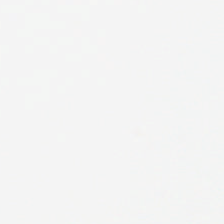224×224 px patch; hematoxylin and eosin; 0.5 microns per pixel.
The content is empty background.
